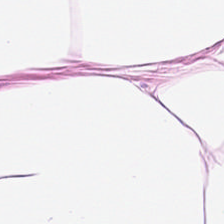Stain: H&E stain.
Predominant tissue: fat tissue.
